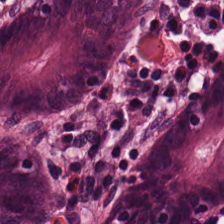H&E-stained tissue section.
Q: What is shown in this field?
A: This is normal colon mucosa.
